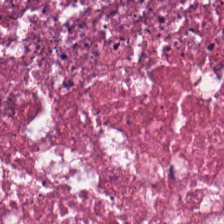H&E-stained tissue section. Impression — cellular debris.
